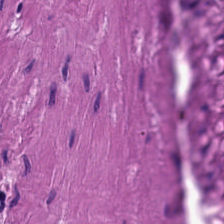Hematoxylin-and-eosin stained section. Q: What is shown here?
A: The field shows muscularis.
